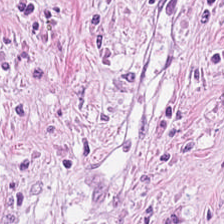Hematoxylin and eosin — The classification is tumor stroma.
